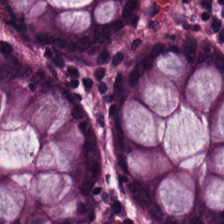Stain: hematoxylin-and-eosin stained section.
Preparation: formalin-fixed paraffin-embedded section.
Classification: non-neoplastic colon mucosa.
